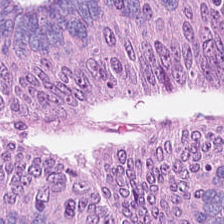Hematoxylin and eosin. Q: Identify the tissue.
A: The field shows colorectal adenocarcinoma.
